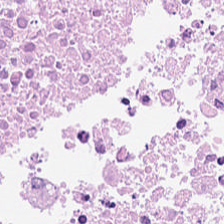H&E-stained section; the field shows necrotic debris.
